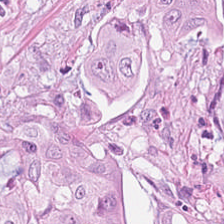Stain: H&E.
Preparation: FFPE.
Tissue: tumor epithelium.
